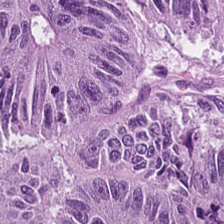Hematoxylin and eosin. Tissue class = malignant epithelium.
